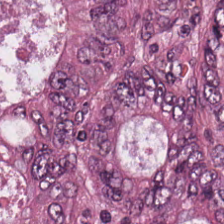H&E-stained tissue section.
Colorectal adenocarcinoma.
